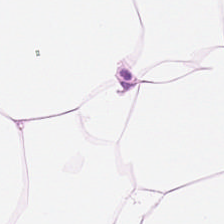H&E stain. WSI patch — Q: What is shown in this field?
A: This is adipocytes.
